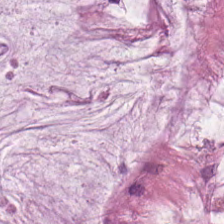0.5 microns per pixel · hematoxylin-and-eosin stained section — Q: What tissue is shown?
A: The field shows mucus.
